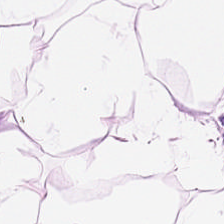H&E. WSI patch. The classification is fat tissue.
